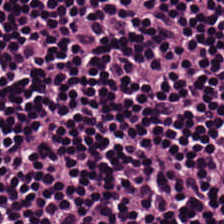H&E stain.
Finding → lymphocytes.
